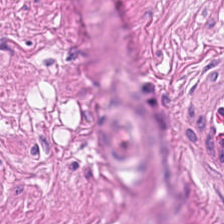H&E stain — Impression → smooth muscle.
